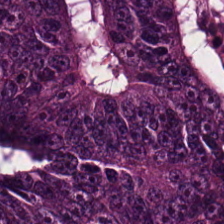Q: What type of tissue is this?
A: The field shows adenocarcinoma.
